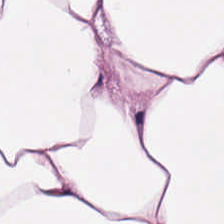Q: What is the predominant tissue type?
A: The field shows adipocytes.
